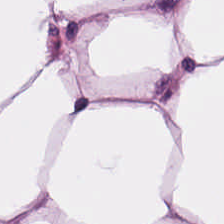Hematoxylin-and-eosin stained section — {"tissue_type": "adipose tissue"}
